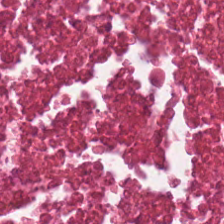H&E-stained tissue section · WSI patch · FFPE. {"tissue_type": "debris"}
